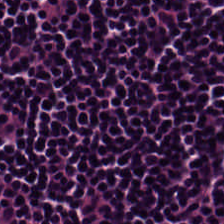The predominant tissue is lymphocytic infiltrate.
